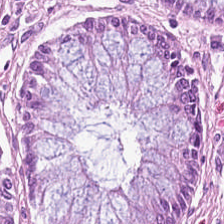H&E stain. Q: What is the predominant tissue type?
A: It is non-neoplastic colon mucosa.
